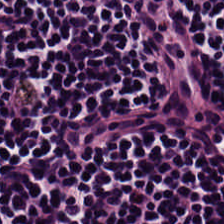Stain: hematoxylin and eosin.
Preparation: formalin-fixed paraffin-embedded section.
Predominant tissue: lymphocytic infiltrate.
